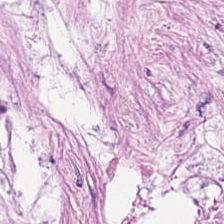H&E · 0.5 µm/px.
Q: What does this patch show?
A: The field shows cancer-associated stroma.
